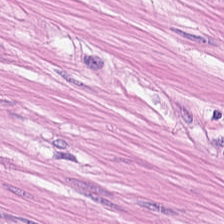H&E. This field is smooth-muscle tissue.
